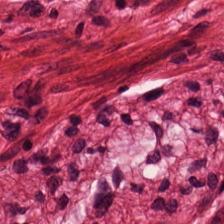Hematoxylin-and-eosin stained section. {"tissue_type": "smooth muscle"}
